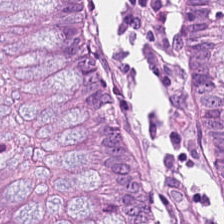Hematoxylin-and-eosin stained section. The predominant tissue is non-neoplastic colon mucosa.
